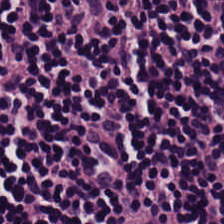Hematoxylin and eosin; brightfield microscopy; 20× equivalent magnification. Tissue: lymphocytes.
